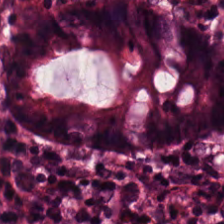The tissue type is benign colonic mucosa.
